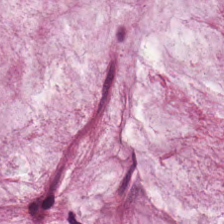Hematoxylin and eosin.
The tissue here is mucus.
